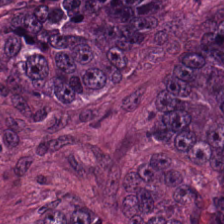Formalin-fixed paraffin-embedded section · H&E.
Tissue: colorectal adenocarcinoma epithelium.
